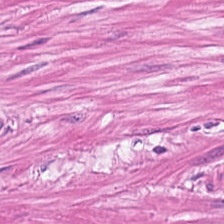H&E patch showing smooth-muscle tissue.
